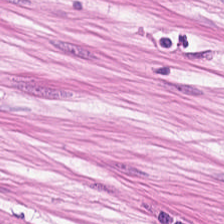H&E. Showing smooth muscle.
